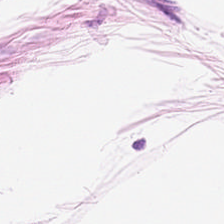Predominantly fat tissue.
